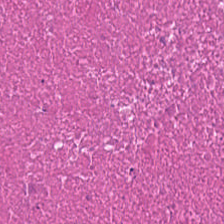Hematoxylin and eosin. Tissue class: necrotic debris.
